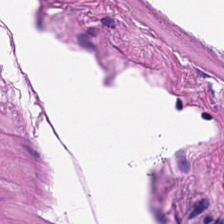H&E — Impression — smooth-muscle tissue.
